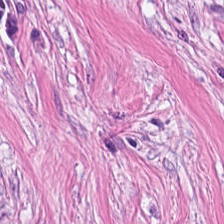Brightfield microscopy · 224×224 pixel tile · H&E.
Tissue type: cancer-associated stroma.
